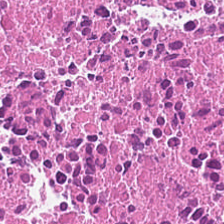H&E stain. 224×224 px patch — Predominantly necrotic debris.
